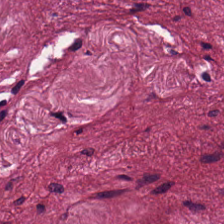H&E — Histology → cancer-associated stroma.
